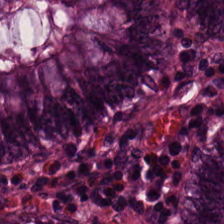H&E stain. Showing normal colonic mucosa.
